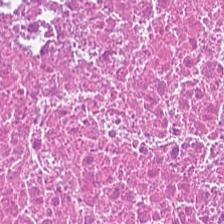H&E stain. {"tissue_type": "cellular debris"}
